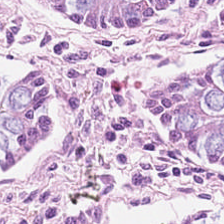Hematoxylin-and-eosin stained section.
Q: What does this patch show?
A: This is normal colon mucosa.
